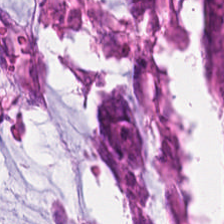H&E stain · FFPE. Q: What tissue is shown?
A: Tumor epithelium.
